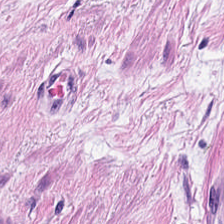Finding → smooth muscle.
